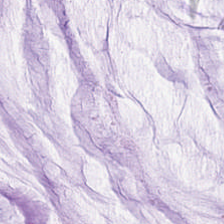Hematoxylin and eosin. Tissue type — extracellular mucin.
